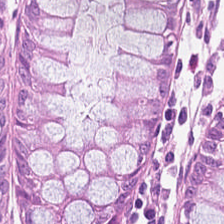FFPE. 224×224 px tile. H&E stain — Tissue = non-neoplastic colon mucosa.
